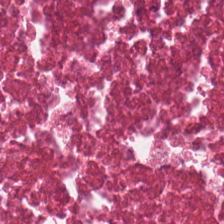Formalin-fixed paraffin-embedded section. H&E stain. The tissue type is cellular debris.
